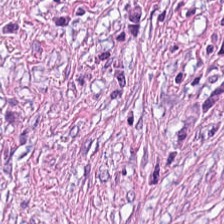Hematoxylin-and-eosin stained section. 0.5 µm per pixel. Predominant tissue: cancer-associated stroma.
